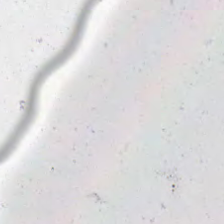Hematoxylin-and-eosin stained section · FFPE tissue section.
Empty field — empty background.
